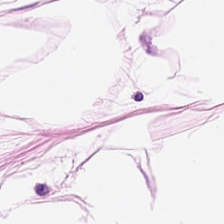H&E stain — Predominantly fat tissue.
